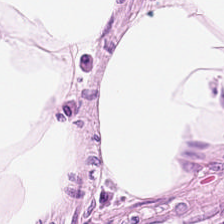H&E-stained tissue section. 224×224 px tile. Q: What tissue type is shown here?
A: This is adipose tissue.
